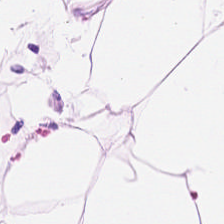Stain: H&E stain.
Tissue type: adipose tissue.
